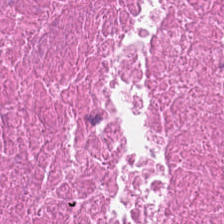Hematoxylin-and-eosin section: debris.
